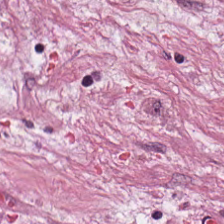Hematoxylin and eosin. Showing tumor stroma.
